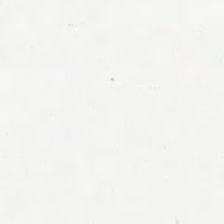Background — no tissue in this field.
